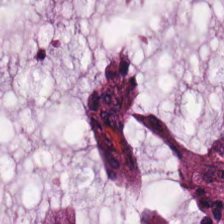224×224 px patch. Hematoxylin-and-eosin stained section — The predominant tissue is mucin.
